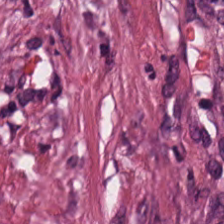Tissue class — tumor-associated stroma.
